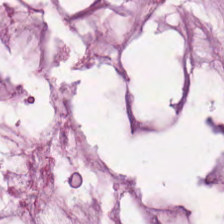Histology → mucin.
